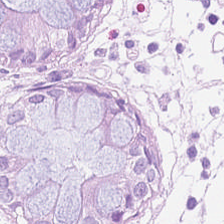H&E-stained tissue section.
The predominant tissue is non-neoplastic colon mucosa.
